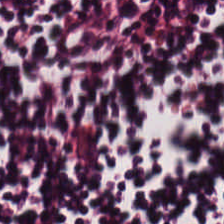Stain: H&E.
Tissue: lymphocyte aggregate.
